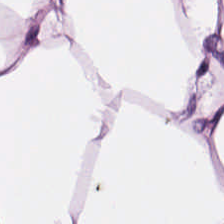The predominant tissue is adipose.
